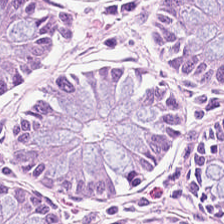Finding — normal colon mucosa.
